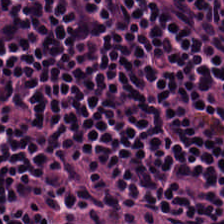Histology → lymphocytes.
